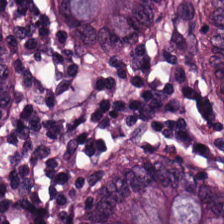0.5 µm/px · H&E. Tissue type: benign colonic mucosa.
